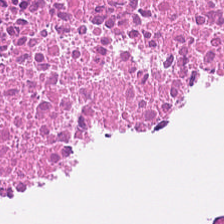Histology — debris.
